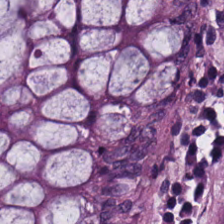Hematoxylin and eosin. Showing non-neoplastic colon mucosa.
